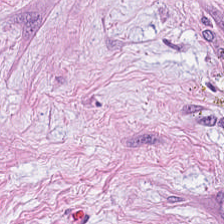Predominant tissue: tumor stroma.
